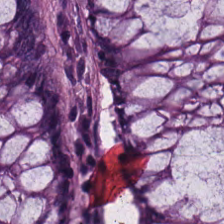Stain: H&E stain.
Tissue: benign colonic mucosa.
